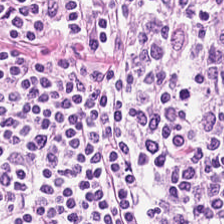Hematoxylin and eosin. Tissue = lymphocytic infiltrate.
